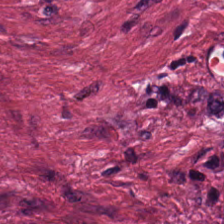Hematoxylin-and-eosin stained section; 224×224 pixel tile; 20× equivalent magnification.
Predominantly desmoplastic stroma.
